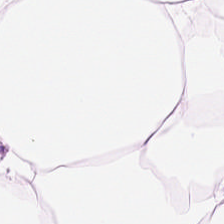Stain: hematoxylin and eosin.
Tissue type: fat tissue.
